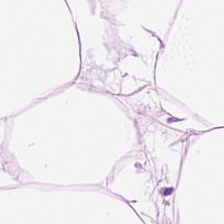H&E stain — Q: What is shown in this field?
A: It is fat tissue.
